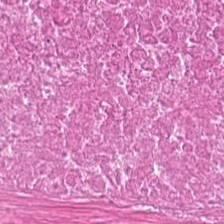FFPE · hematoxylin-and-eosin stained section. Finding → necrotic debris.
